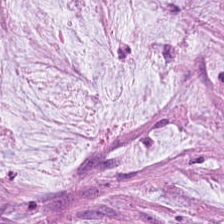Hematoxylin-and-eosin stained section.
Q: What does this patch show?
A: Extracellular mucin.
